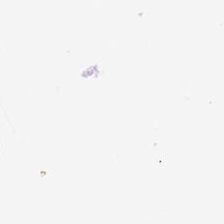H&E-stained tissue section.
Q: What does this patch show?
A: This is background.
